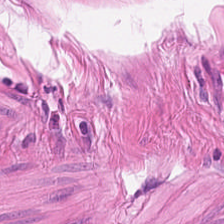Finding — smooth-muscle tissue.
